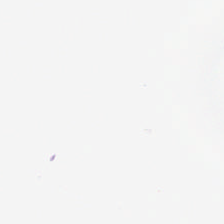Hematoxylin-and-eosin stained section. Histology → empty background.
